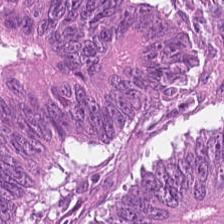Stain: hematoxylin-and-eosin stained section.
Predominant tissue: colorectal adenocarcinoma.
